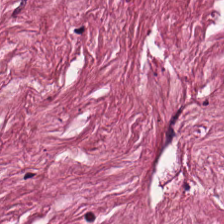Hematoxylin-and-eosin stained section · brightfield.
Showing tumor stroma.
